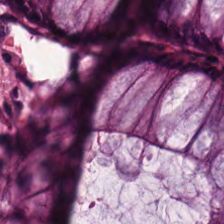20× equivalent magnification · hematoxylin and eosin. Predominantly non-neoplastic colon mucosa.
